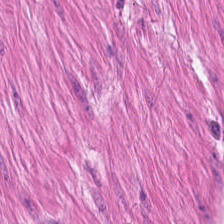H&E-stained section; the field shows smooth muscle.
